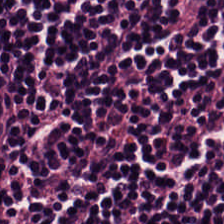H&E-stained tissue section.
Predominantly lymphocytic infiltrate.
